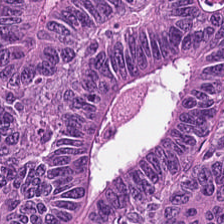Hematoxylin and eosin — Tissue — colorectal adenocarcinoma epithelium.
